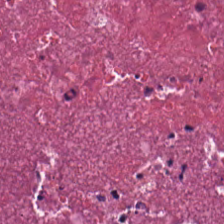0.5 µm per pixel. Hematoxylin-and-eosin stained section.
This patch shows cellular debris.
